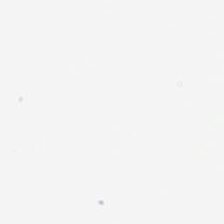Whole-slide-image patch. 20× equivalent magnification. H&E. This field is background (no tissue).
